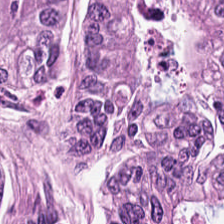Hematoxylin-and-eosin stained section.
The tissue here is colorectal adenocarcinoma.
